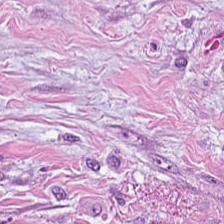Brightfield; hematoxylin and eosin.
Q: What is the predominant tissue type?
A: This is tumor stroma.
